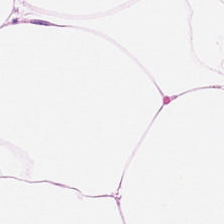Stain: hematoxylin and eosin.
Preparation: FFPE.
Resolution: 0.5 µm per pixel.
Tissue class: fat tissue.
